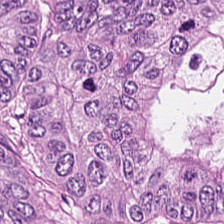Hematoxylin-and-eosin stained section — The tissue class is tumor epithelium.
